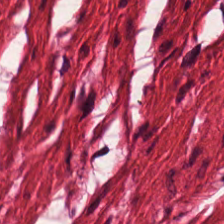H&E-stained tissue section.
Histology — smooth muscle.
